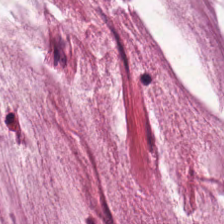H&E-stained tissue section · 0.5 µm/px — The classification is mucus.
